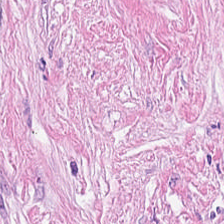224×224 pixel tile; 0.5 µm per pixel; H&E-stained tissue section. The classification is cancer-associated stroma.
